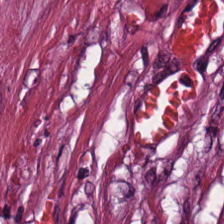This field is desmoplastic stroma.
